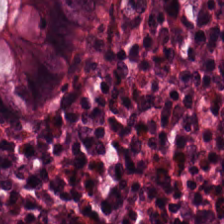Hematoxylin and eosin. Predominant tissue — normal colon mucosa.
